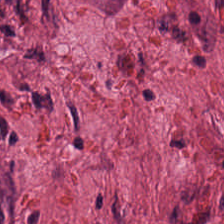224×224 px patch. H&E-stained tissue section. Finding — desmoplastic stroma.
